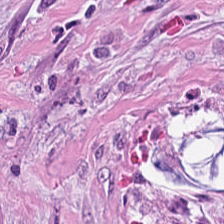H&E stain. Whole-slide-image patch.
Predominant tissue = cancer-associated stroma.
